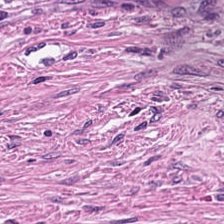Brightfield microscopy · H&E stain · formalin-fixed paraffin-embedded section. Predominant tissue: desmoplastic stroma.
